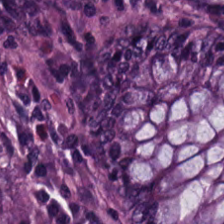Hematoxylin and eosin. This patch shows benign colonic mucosa.
